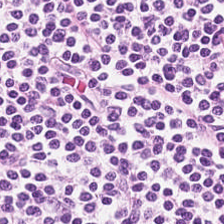224×224 pixel tile; whole-slide-image patch; hematoxylin and eosin. Predominantly lymphoid infiltrate.
